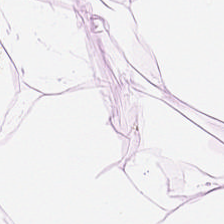Hematoxylin and eosin — The tissue here is adipose.
